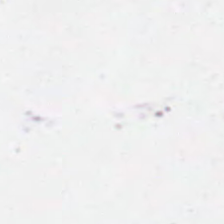H&E · 20× equivalent magnification.
Empty field — background (no tissue).
